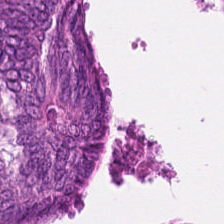H&E-stained tissue section · brightfield microscopy — This patch shows tumor epithelium.
